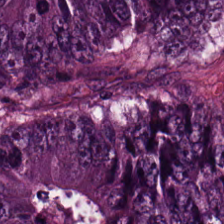H&E-stained tissue section.
Finding → colorectal adenocarcinoma epithelium.
